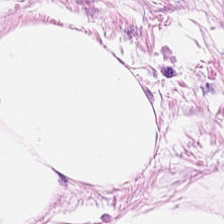224×224 pixel tile · H&E-stained tissue section — The predominant tissue is adipocytes.
